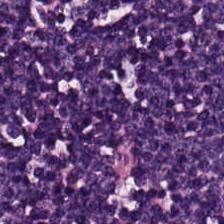H&E-stained tissue section. FFPE tissue section. 224×224 pixel tile — Q: What tissue type is shown here?
A: The field shows lymphocytes.
